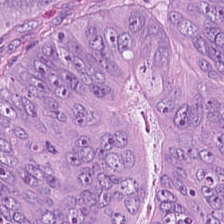H&E — Tissue type — tumor epithelium.
